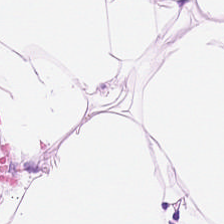The classification is fat tissue.
